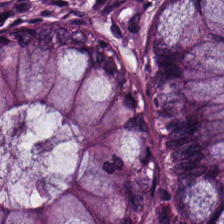Hematoxylin and eosin · 0.5 µm per pixel. The tissue here is normal colon mucosa.
